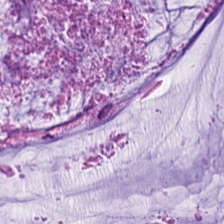Q: What tissue type is shown here?
A: Extracellular mucin.
